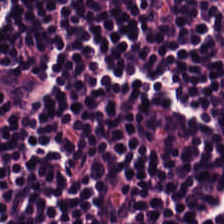Hematoxylin and eosin; formalin-fixed paraffin-embedded section — This patch shows lymphocyte aggregate.
